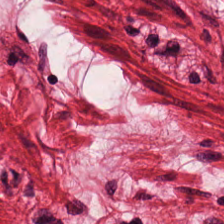Hematoxylin-and-eosin stained section.
The predominant tissue is smooth-muscle tissue.
